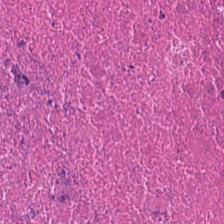H&E. 20× equivalent magnification — Histology — necrotic debris.
